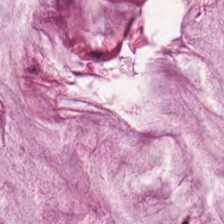H&E-stained section; the field shows mucus.
